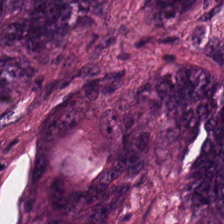Q: Classify this patch.
A: Adenocarcinoma.
